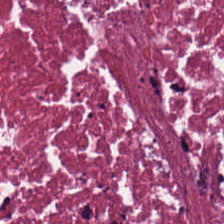FFPE tissue section; 0.5 microns per pixel; hematoxylin and eosin. Tissue: cellular debris.
